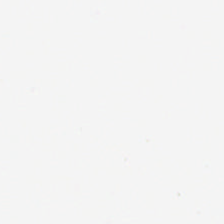H&E stain. 224×224 pixel tile. Content — no tissue.
